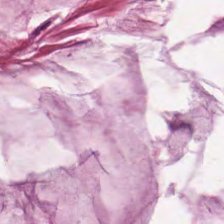FFPE tissue section. Hematoxylin and eosin. 224×224 px patch. The predominant tissue is mucus.
